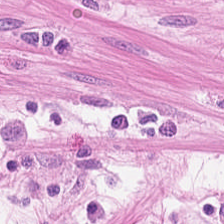0.5 µm/px; H&E-stained tissue section; 224×224 px tile — Finding → smooth-muscle tissue.
